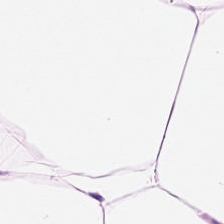WSI patch. Hematoxylin and eosin. 0.5 µm per pixel. Predominantly fat tissue.
